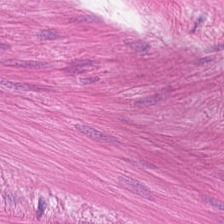Muscularis.
